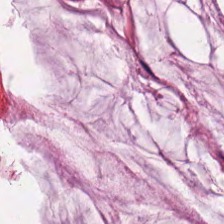H&E-stained tissue section — Tissue class = extracellular mucin.
